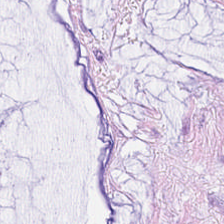H&E-stained tissue section. Tissue type = mucin.
